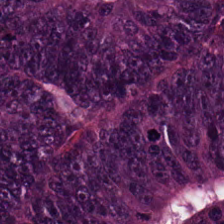Stain: H&E.
Tissue class: colorectal adenocarcinoma epithelium.
